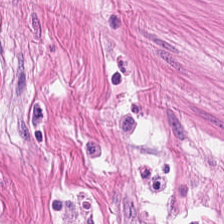H&E stain · WSI patch. The tissue class is muscularis.
